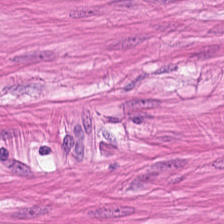H&E — Predominantly smooth-muscle tissue.
